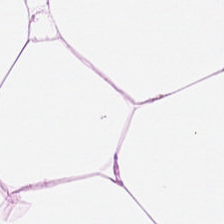Predominant tissue = adipocytes.
